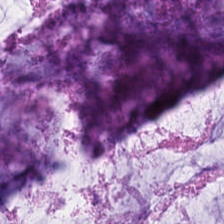H&E — Q: What type of tissue is this?
A: The field shows mucus.
